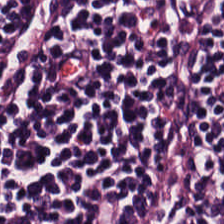{"tissue_type": "lymphocytic infiltrate"}
